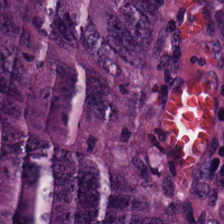H&E-stained tissue section.
Q: What does this patch show?
A: Tumor epithelium.
